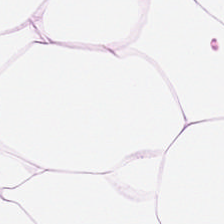Hematoxylin and eosin.
Q: What does this patch show?
A: It is fat tissue.
